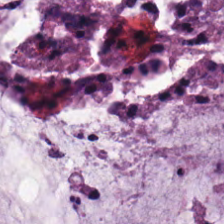H&E-stained tissue section.
Mucus.
